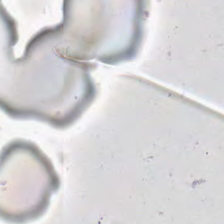Formalin-fixed paraffin-embedded section; brightfield; hematoxylin and eosin.
Q: What is shown in this field?
A: This is empty background.
